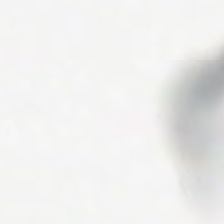H&E.
The classification is background (no tissue).
